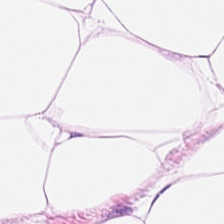H&E-stained tissue section; 224×224 px patch; formalin-fixed paraffin-embedded section — This patch shows adipose tissue.
